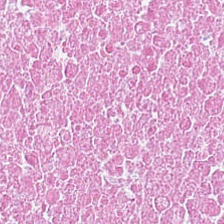Hematoxylin and eosin · 20× equivalent magnification. The tissue class is cellular debris.
